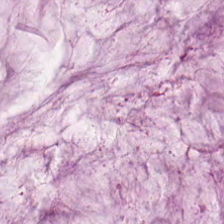224×224 px patch; H&E-stained tissue section. Mucus.
